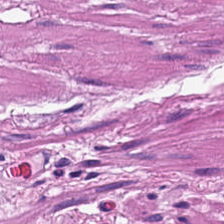Hematoxylin-and-eosin stained section. FFPE tissue section. Q: What tissue type is shown here?
A: This is muscularis.
